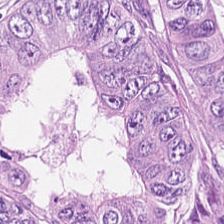H&E stain.
This field is colorectal adenocarcinoma.
